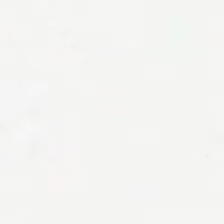Hematoxylin and eosin. This patch shows background (no tissue).
